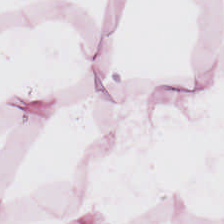H&E.
Tissue type — adipose.
